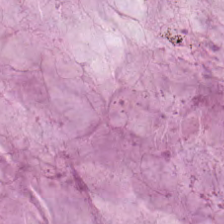H&E. Q: What does this patch show?
A: Mucin.
